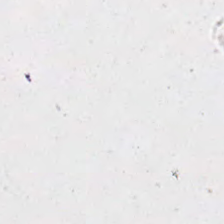Brightfield. H&E stain — {"content": "background"}
